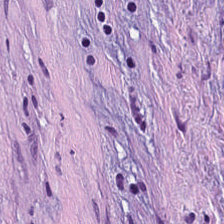This patch shows cancer-associated stroma.
